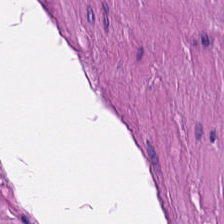FFPE · H&E-stained tissue section.
Classification — smooth-muscle tissue.
